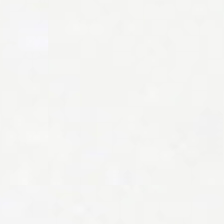H&E-stained tissue section — No tissue present; background only.
